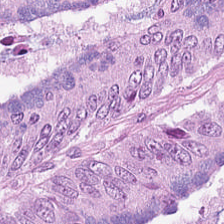H&E.
This field is malignant epithelium.
